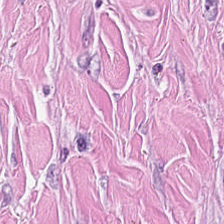Hematoxylin and eosin. WSI patch.
This field is tumor-associated stroma.
